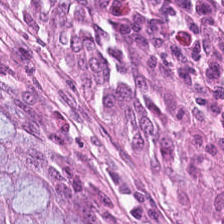Q: What is shown in this field?
A: Benign colonic mucosa.
